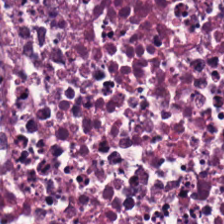H&E stain. The tissue class is necrotic debris.
